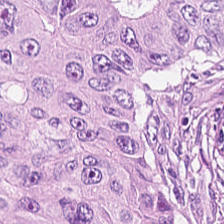Hematoxylin-and-eosin stained section — Finding — colorectal adenocarcinoma.
